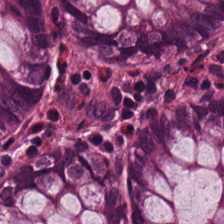0.5 µm per pixel. H&E — {"tissue_type": "benign colonic mucosa"}
